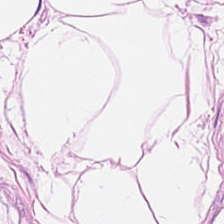Stain: H&E stain.
Tile size: 224×224 px tile.
Resolution: 0.5 µm/px.
Tissue class: adipocytes.
